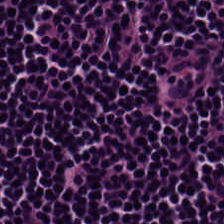Stain: H&E.
Predominant tissue: lymphocytic infiltrate.
